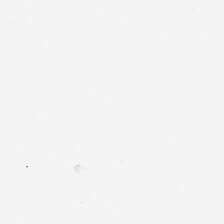H&E stain. Formalin-fixed paraffin-embedded section. Q: What does this patch show?
A: This is background (no tissue).
